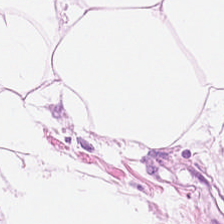Hematoxylin-and-eosin stained section. Brightfield. {"tissue_type": "adipose"}
